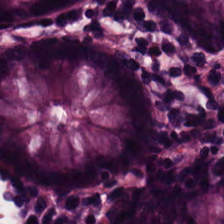FFPE · hematoxylin and eosin · 0.5 microns per pixel — Non-neoplastic colon mucosa.
